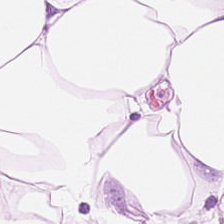Q: What is shown here?
A: The field shows adipocytes.
